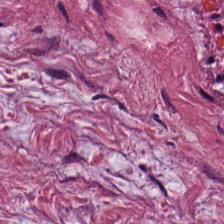224×224 px tile · H&E. Predominantly tumor-associated stroma.
